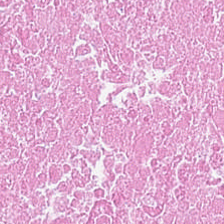FFPE. H&E — Q: What does this patch show?
A: The field shows necrotic debris.
